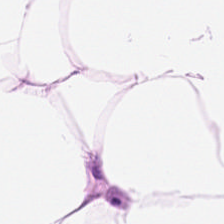Stain: hematoxylin-and-eosin stained section.
Tissue class: adipocytes.
